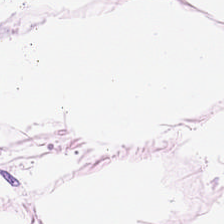H&E stain · brightfield. Classification: adipose tissue.
